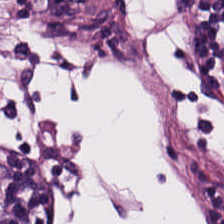Stain: hematoxylin and eosin.
Classification: lymphocyte aggregate.
